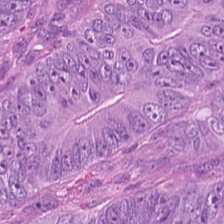Q: What is the predominant tissue type?
A: Colorectal adenocarcinoma epithelium.
